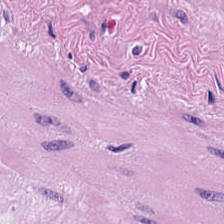H&E-stained tissue section — This patch shows smooth-muscle tissue.
